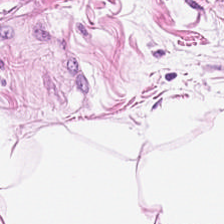H&E-stained tissue section — Adipose.
